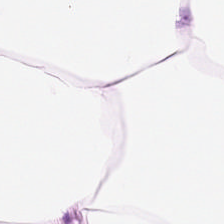20× equivalent magnification · hematoxylin and eosin · WSI patch — This patch shows fat tissue.
